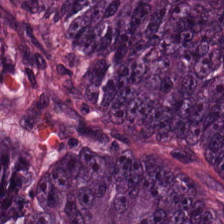H&E stain; 224×224 pixel tile; 20× equivalent magnification.
Q: What is the predominant tissue type?
A: The field shows adenocarcinoma.
